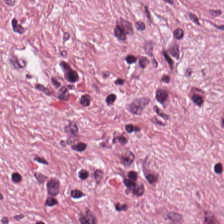H&E-stained tissue section · 224×224 px tile.
Tissue class = cancer-associated stroma.
